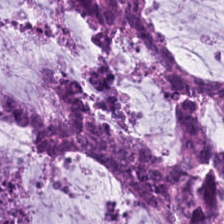Hematoxylin-and-eosin stained section — This field is extracellular mucin.
